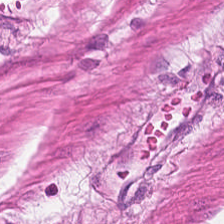Brightfield microscopy; H&E-stained tissue section; 224×224 px patch. The classification is smooth muscle.
